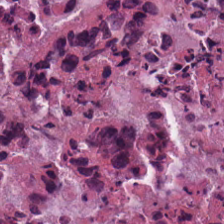H&E-stained tissue section · 224×224 px tile — The tissue class is debris.
